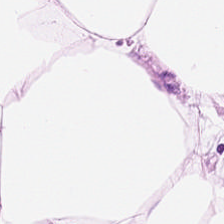Tissue = fat tissue.
